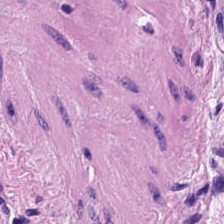Stain: H&E-stained tissue section.
Predominant tissue: smooth-muscle tissue.
